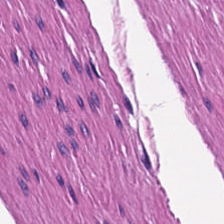Hematoxylin-and-eosin stained section; brightfield microscopy; 224×224 px tile. {"tissue_type": "smooth muscle"}
